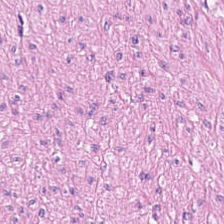Q: What type of tissue is this?
A: The field shows smooth muscle.
